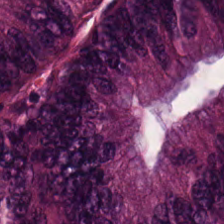H&E.
Malignant epithelium.
